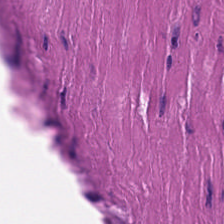H&E. Brightfield microscopy. Predominantly smooth-muscle tissue.
